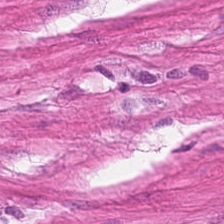Classification = smooth-muscle tissue.
